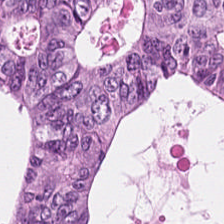This field is malignant epithelium.
